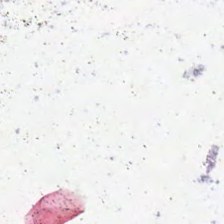H&E. {"content": "background (no tissue)"}
